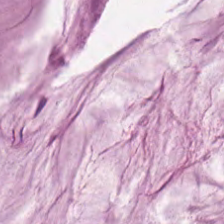Mucin.
